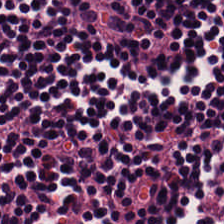Formalin-fixed paraffin-embedded section; H&E; 0.5 microns per pixel — Predominant tissue: lymphocyte aggregate.
